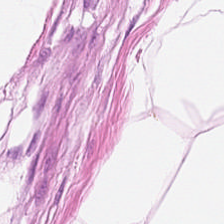Hematoxylin and eosin. Q: Classify this patch.
A: It is fat tissue.
